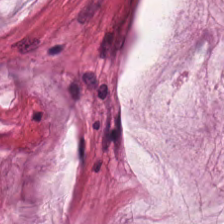Stain: H&E-stained tissue section.
Classification: mucus.
